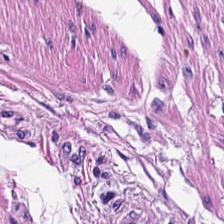H&E. Q: Classify this patch.
A: It is smooth-muscle tissue.
